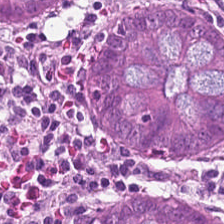Q: What is shown here?
A: It is benign colonic mucosa.
